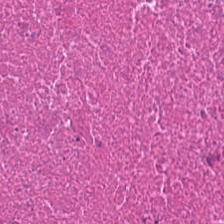H&E stain. This field is necrotic debris.
